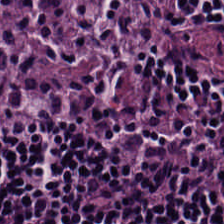FFPE; hematoxylin-and-eosin stained section — Histology — lymphocytic infiltrate.
